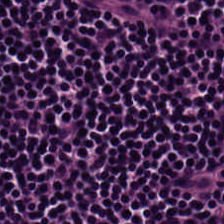H&E.
Lymphocyte aggregate.
